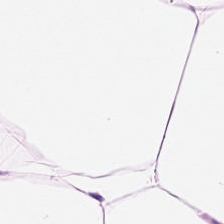Tissue class = adipose.
